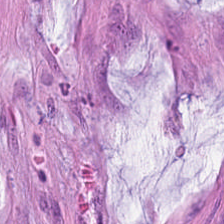H&E stain. 224×224 px tile. Predominant tissue — extracellular mucin.
